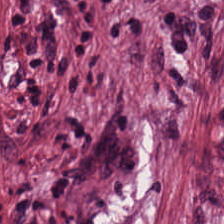Predominant tissue = tumor-associated stroma.
